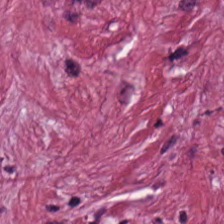Cancer-associated stroma.
